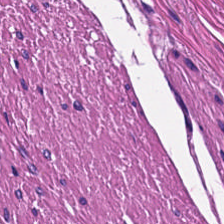H&E stain — Showing smooth muscle.
